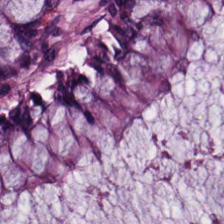Stain: hematoxylin and eosin.
Classification: normal colonic mucosa.
